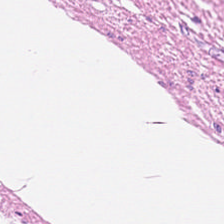Hematoxylin-and-eosin stained section; FFPE — Muscularis.
